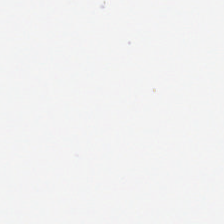H&E-stained tissue section · 224×224 px patch — Histology → background (no tissue).
